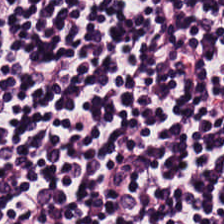FFPE tissue section · H&E stain.
The predominant tissue is lymphocytic infiltrate.
